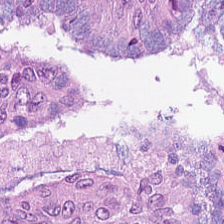Q: Identify the tissue.
A: This is colorectal adenocarcinoma.
